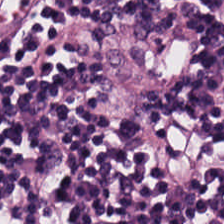Hematoxylin-and-eosin stained section; FFPE tissue section. The predominant tissue is lymphocytes.
